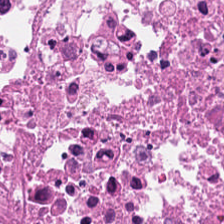Brightfield microscopy · 224×224 pixel tile · H&E — Classification = cellular debris.
